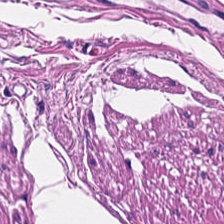Hematoxylin and eosin — This field is smooth-muscle tissue.
